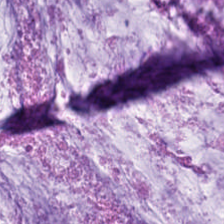Predominantly mucin.
